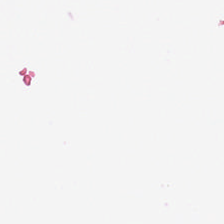Hematoxylin and eosin; 224×224 pixel tile; 0.5 microns per pixel.
Q: What is shown in this field?
A: This is no tissue.
